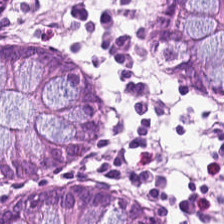Brightfield. H&E stain.
This field is non-neoplastic colon mucosa.
